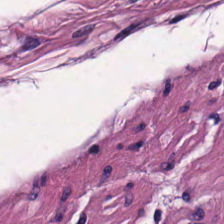Hematoxylin and eosin.
Q: What is the predominant tissue type?
A: The field shows smooth-muscle tissue.
